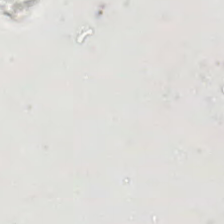20× equivalent magnification. H&E stain. Finding → empty background.
